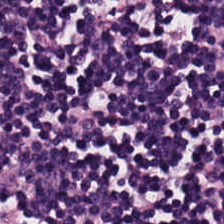Hematoxylin and eosin. Histology — lymphoid infiltrate.
